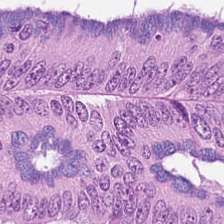20× equivalent magnification; H&E — Histology — colorectal adenocarcinoma epithelium.
